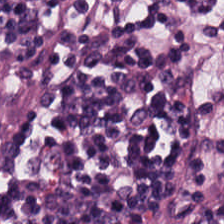Stain: H&E.
Preparation: FFPE.
Tile size: 224×224 px tile.
Tissue class: lymphocytic infiltrate.
